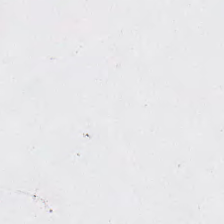Stain: hematoxylin-and-eosin stained section.
Content: empty background.
